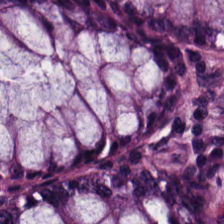This field is normal colon mucosa.
